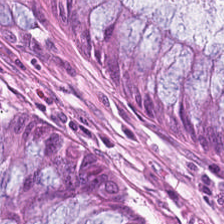224×224 px tile. H&E stain. FFPE — Predominant tissue — normal colonic mucosa.
